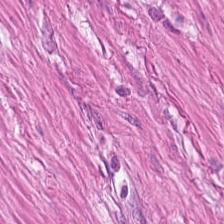20× equivalent magnification; H&E-stained tissue section.
The tissue type is smooth muscle.
